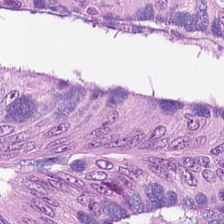H&E-stained tissue section — {"tissue_type": "colorectal adenocarcinoma"}
